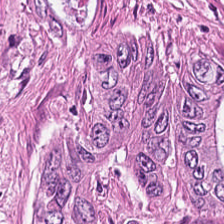Hematoxylin-and-eosin stained section. This patch shows colorectal adenocarcinoma epithelium.
